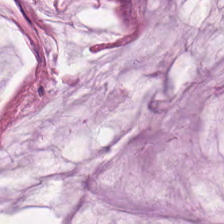Stain: H&E-stained tissue section.
Acquisition: WSI patch.
Classification: extracellular mucin.
